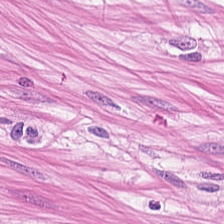224×224 pixel tile. H&E. The tissue type is muscularis.
